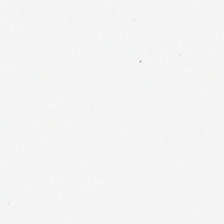{"content": "empty background"}
